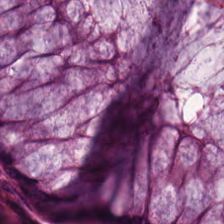H&E patch showing non-neoplastic colon mucosa.
